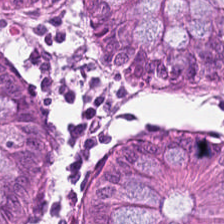Stain: H&E-stained tissue section.
Tissue: benign colonic mucosa.
